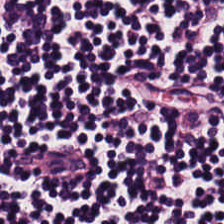H&E — lymphocyte aggregate.
